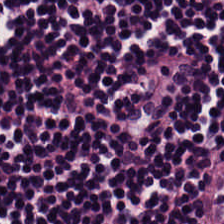Q: Classify this patch.
A: It is lymphoid infiltrate.
